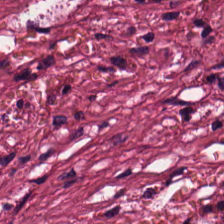H&E stain. Impression → tumor stroma.
